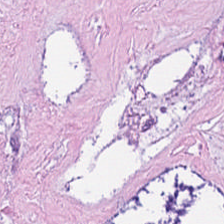Hematoxylin and eosin. Finding → necrotic debris.
